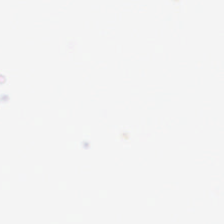This field is background (no tissue).
